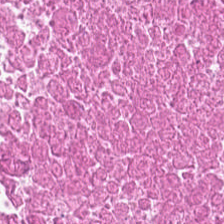H&E. Whole-slide-image patch. 20× equivalent magnification — The tissue type is necrotic debris.
